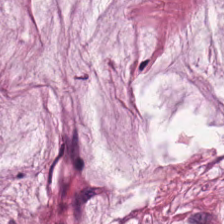Hematoxylin and eosin.
Extracellular mucin.
